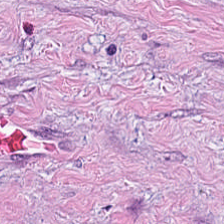Stain: H&E-stained tissue section.
Resolution: 20× equivalent magnification.
Predominant tissue: cancer-associated stroma.
